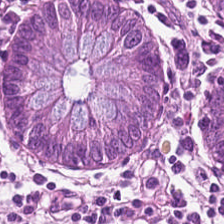This field is benign colonic mucosa.
